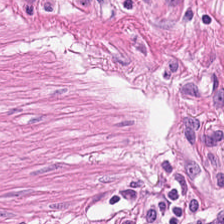Hematoxylin and eosin. Q: What tissue is shown?
A: This is smooth muscle.
